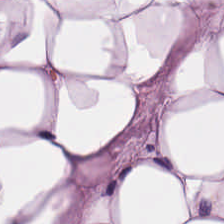Hematoxylin and eosin; whole-slide-image patch — This patch shows adipocytes.
